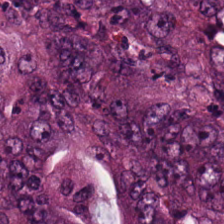Hematoxylin and eosin.
Showing tumor epithelium.
